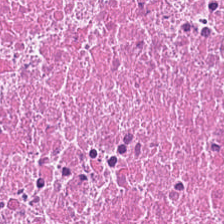H&E stain.
Predominantly debris.
